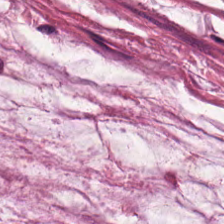Q: What does this patch show?
A: This is mucin.
